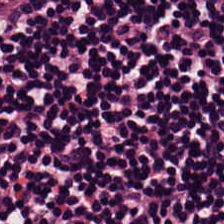Hematoxylin and eosin. Finding → lymphocyte aggregate.
